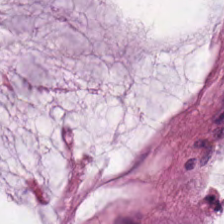H&E-stained tissue section.
The tissue class is mucus.
